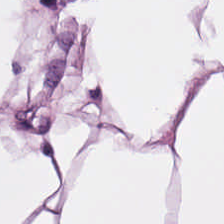H&E stain.
The tissue here is adipocytes.
